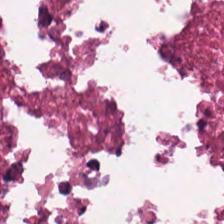Hematoxylin-and-eosin section: cellular debris.
